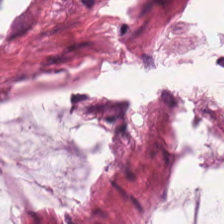Hematoxylin and eosin — The predominant tissue is extracellular mucin.
